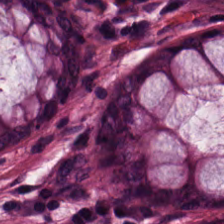0.5 microns per pixel. H&E.
Benign colonic mucosa.
